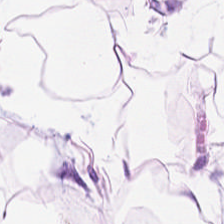Hematoxylin and eosin. FFPE tissue section.
The tissue here is adipose.
